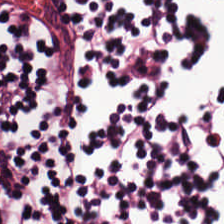Tissue type: lymphocytes.
